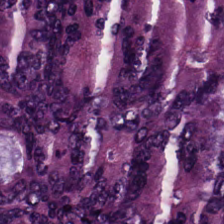Hematoxylin and eosin; 0.5 µm per pixel; 224×224 px patch — Classification: colorectal adenocarcinoma.
